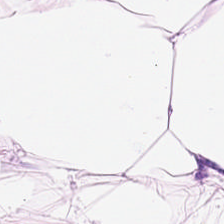Finding — fat tissue.
